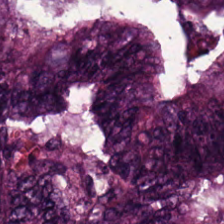Hematoxylin and eosin · 224×224 px patch — The tissue here is colorectal adenocarcinoma epithelium.
